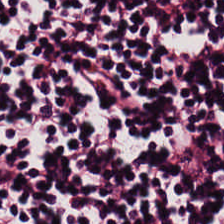Tissue — lymphocytes.
